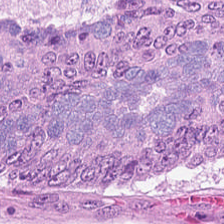This patch shows tumor epithelium.
